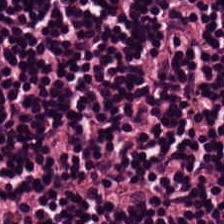Hematoxylin and eosin — Tissue type — lymphoid infiltrate.
